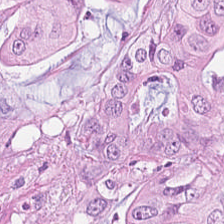H&E. 224×224 px patch. Formalin-fixed paraffin-embedded section.
Tissue class = colorectal adenocarcinoma.
